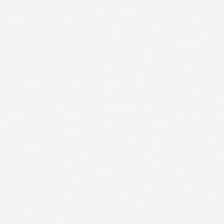Hematoxylin and eosin.
This field is background (no tissue).
